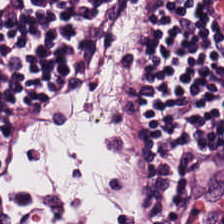H&E stain — Showing lymphoid infiltrate.
